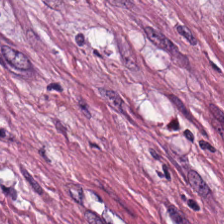H&E stain. This field is tumor-associated stroma.
